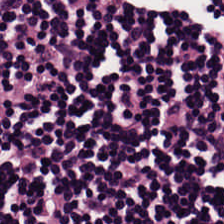FFPE tissue section. H&E stain. Brightfield.
Lymphocyte aggregate.
